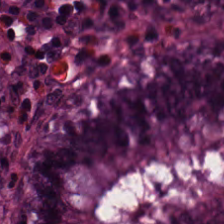{"tissue_type": "benign colonic mucosa"}
